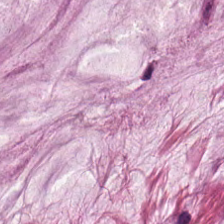Stain: H&E stain.
Preparation: formalin-fixed paraffin-embedded section.
Tissue class: mucus.
